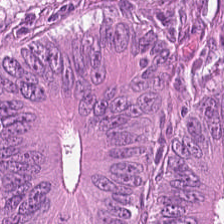Hematoxylin and eosin. Q: What is shown in this field?
A: This is tumor epithelium.
